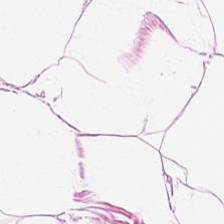Brightfield; H&E; 224×224 px tile — The tissue is adipose.
